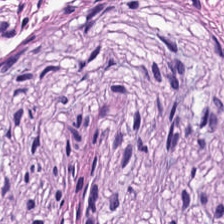Brightfield microscopy. Hematoxylin-and-eosin stained section — This patch shows smooth-muscle tissue.
